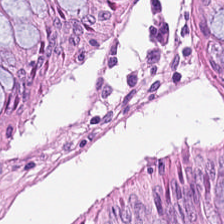Stain: hematoxylin-and-eosin stained section.
Resolution: 0.5 µm/px.
Tissue type: non-neoplastic colon mucosa.
